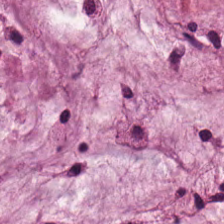Stain: hematoxylin-and-eosin stained section.
Preparation: FFPE.
Predominant tissue: mucin.
